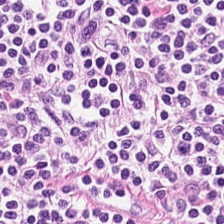Histology — lymphoid infiltrate.
